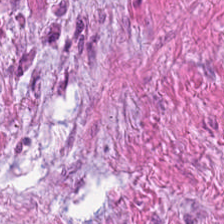224×224 px patch · 0.5 microns per pixel · hematoxylin and eosin — Predominantly muscularis.
